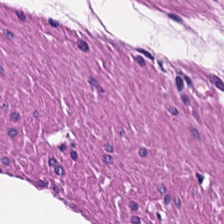Stain: H&E.
Resolution: 0.5 µm per pixel.
Tile size: 224×224 px patch.
Tissue class: smooth muscle.
